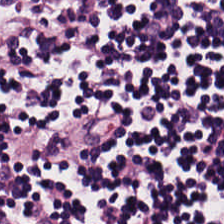Hematoxylin and eosin. Predominantly lymphocyte aggregate.
